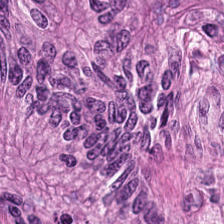H&E stain; 224×224 px tile; formalin-fixed paraffin-embedded section. Impression → colorectal adenocarcinoma epithelium.
